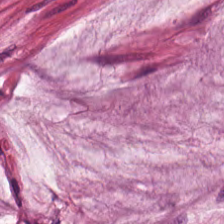The tissue type is mucus.
